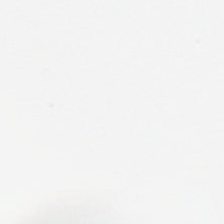Q: Classify this patch.
A: It is background.
